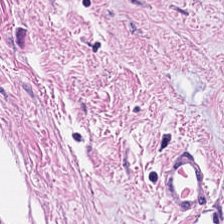H&E; 224×224 px tile.
Q: What is shown here?
A: The field shows smooth muscle.
